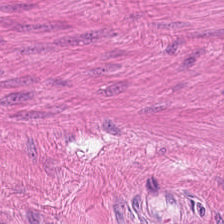H&E — Showing smooth-muscle tissue.
